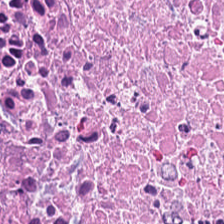H&E.
Q: What is the predominant tissue type?
A: The field shows cellular debris.
